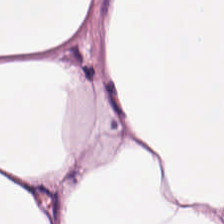Stain: H&E.
Tissue: fat tissue.
